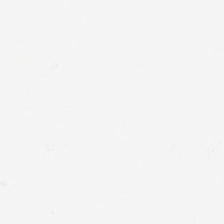Whole-slide-image patch. H&E-stained tissue section.
This field is background (no tissue).
